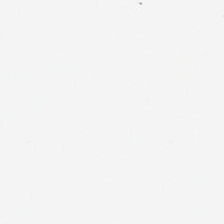Background.
